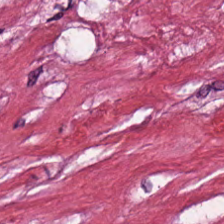H&E stain · 224×224 pixel tile. Impression → tumor stroma.
